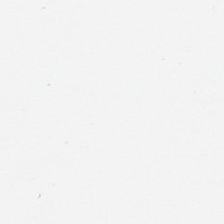Stain: H&E-stained tissue section.
Content: background (no tissue).
